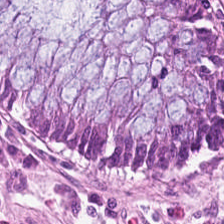Hematoxylin and eosin. Tissue type: normal colon mucosa.
